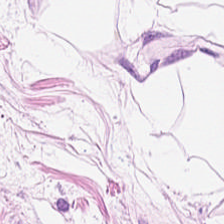Predominantly adipocytes.
